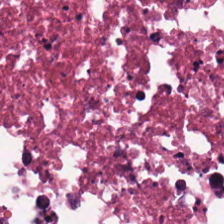Stain: H&E.
Tissue class: debris.
